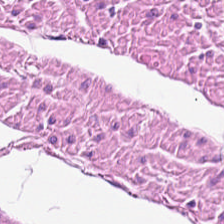H&E stain; 224×224 pixel tile; FFPE tissue section — Tissue class: smooth-muscle tissue.
